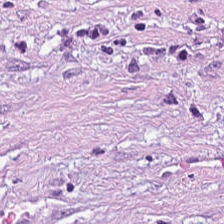H&E patch showing tumor-associated stroma.
